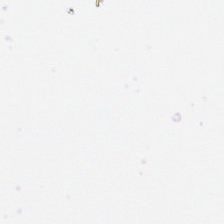The classification is no tissue.
